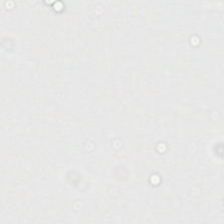0.5 µm/px · hematoxylin-and-eosin stained section — Q: What is shown in this field?
A: It is empty background.
